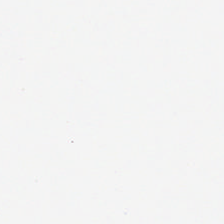H&E stain.
Content: background (no tissue).
